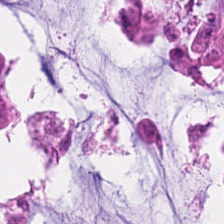H&E stain.
Predominant tissue: malignant epithelium.
